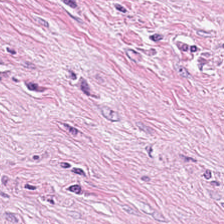Hematoxylin and eosin — Tissue type — desmoplastic stroma.
